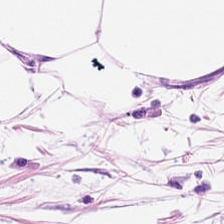Stain: H&E-stained tissue section.
Tissue type: adipocytes.
